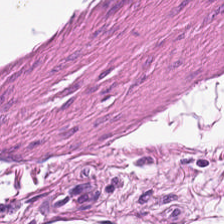H&E-stained tissue section. Q: Classify this patch.
A: It is smooth-muscle tissue.
